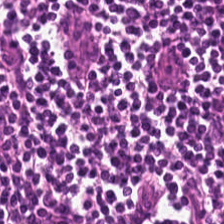H&E stain. Predominantly lymphocytes.
